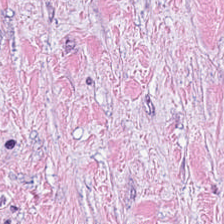H&E.
Tissue class — cancer-associated stroma.
